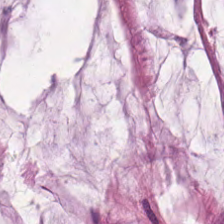H&E-stained tissue section. 224×224 pixel tile.
This field is mucin.
